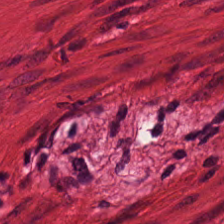Hematoxylin-and-eosin stained section — Showing muscularis.
